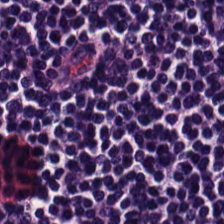H&E.
Classification = lymphoid infiltrate.
